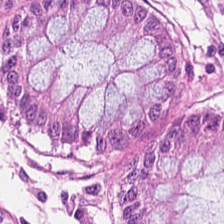FFPE tissue section · brightfield microscopy · hematoxylin-and-eosin stained section. Tissue — benign colonic mucosa.
